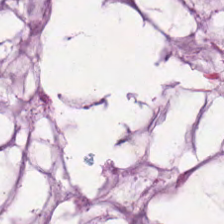0.5 µm/px · hematoxylin-and-eosin stained section.
The classification is mucin.
